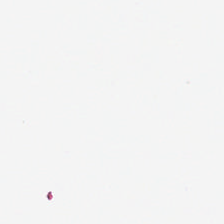H&E. {"content": "background (no tissue)"}
